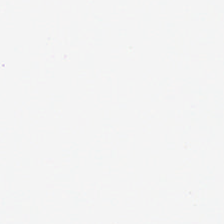H&E.
Histology → background.
